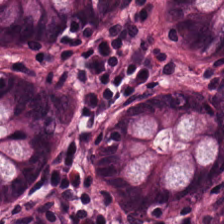{"tissue_type": "benign colonic mucosa"}
